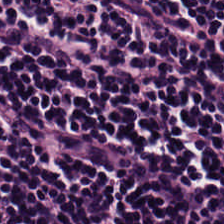Stain: H&E.
Classification: lymphoid infiltrate.
